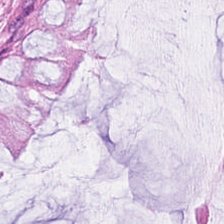Stain: hematoxylin-and-eosin stained section.
Tile size: 224×224 px tile.
Tissue: benign colonic mucosa.
